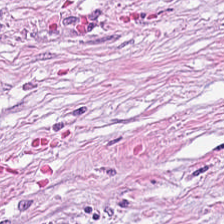H&E stain; 0.5 µm per pixel. Q: What type of tissue is this?
A: This is cancer-associated stroma.
